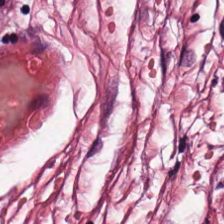H&E. Cancer-associated stroma.
